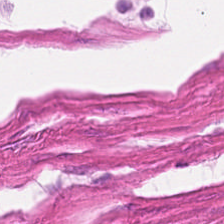H&E-stained tissue section · FFPE tissue section. Tissue class = muscularis.
